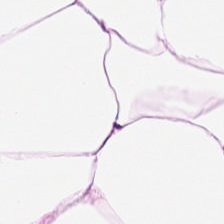0.5 µm per pixel · H&E. Fat tissue.
